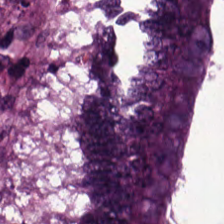Brightfield; hematoxylin-and-eosin stained section. Q: What is shown in this field?
A: The field shows colorectal adenocarcinoma.
